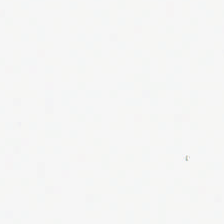Hematoxylin and eosin.
No tissue present; background only.
